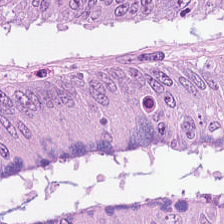0.5 µm/px; WSI patch; H&E — Q: What tissue type is shown here?
A: This is tumor epithelium.
